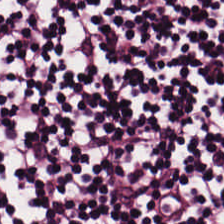Whole-slide-image patch; 0.5 microns per pixel; H&E.
This field is lymphocytes.
